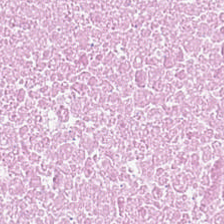Hematoxylin and eosin. Q: What tissue is shown?
A: Cellular debris.
